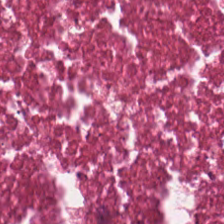Brightfield · 224×224 px patch · H&E — Finding — cellular debris.
